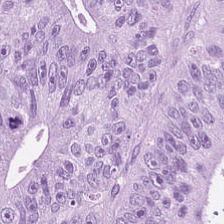Hematoxylin-and-eosin stained section — Predominant tissue: tumor epithelium.
